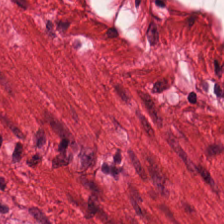Stain: hematoxylin and eosin.
Tile size: 224×224 px patch.
Acquisition: brightfield.
Tissue type: muscularis.
